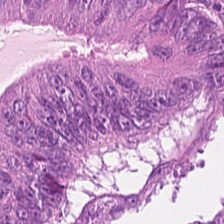Hematoxylin-and-eosin stained section; formalin-fixed paraffin-embedded section — Predominant tissue = malignant epithelium.
